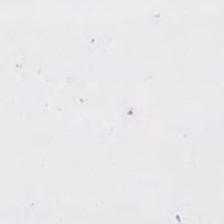{"content": "background (no tissue)"}
